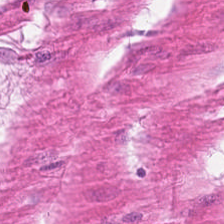Predominantly smooth-muscle tissue.
